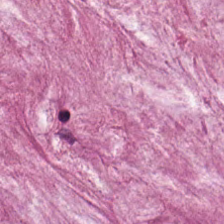Hematoxylin-and-eosin stained section. Q: What tissue type is shown here?
A: Mucus.
